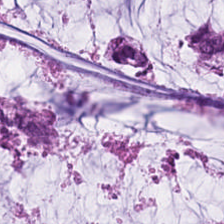Hematoxylin and eosin.
Finding — extracellular mucin.
